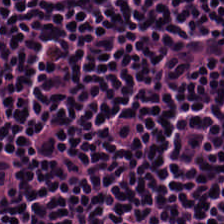Classification: lymphocytes.
